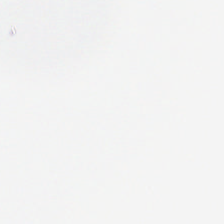Stain: H&E stain.
Classification: background (no tissue).
